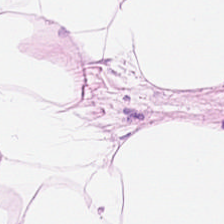H&E · 0.5 µm per pixel · whole-slide-image patch — Tissue type = fat tissue.
